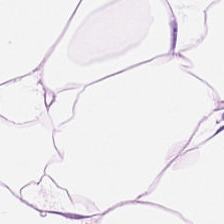0.5 microns per pixel · hematoxylin and eosin — Tissue type — fat tissue.
